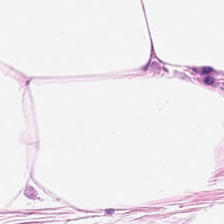Hematoxylin-and-eosin stained section. FFPE tissue section. 0.5 microns per pixel.
Impression → fat tissue.
